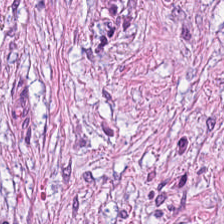Q: What is shown in this field?
A: This is tumor stroma.
